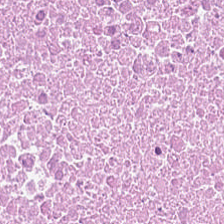0.5 microns per pixel · H&E stain — The predominant tissue is necrotic debris.
